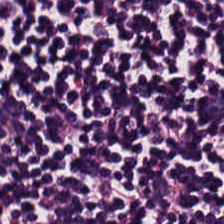H&E-stained tissue section. Classification: lymphocytic infiltrate.
